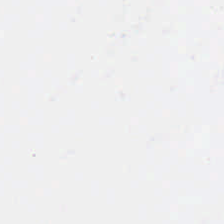{"content": "background"}
